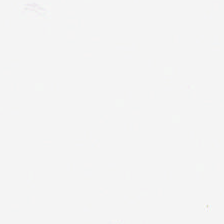Q: Classify this patch.
A: The field shows background (no tissue).
